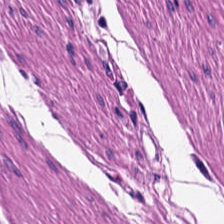H&E-stained tissue section.
{"tissue_type": "smooth-muscle tissue"}
